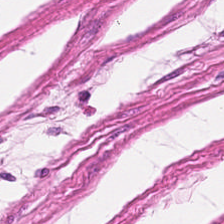Showing smooth muscle.
